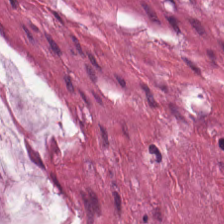Predominant tissue — extracellular mucin.
